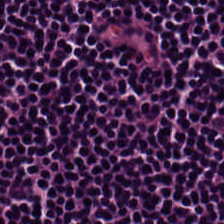H&E stain.
Classification — lymphocytic infiltrate.
